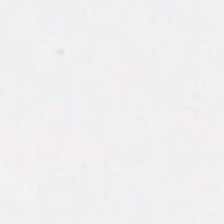H&E-stained tissue section. Background — no tissue in this field.
